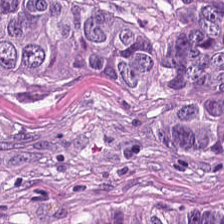0.5 microns per pixel. Hematoxylin and eosin.
The tissue here is malignant epithelium.
